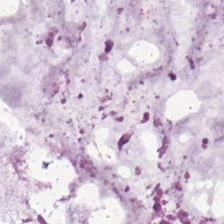224×224 px patch. 0.5 microns per pixel. Hematoxylin-and-eosin stained section.
This field is mucus.
